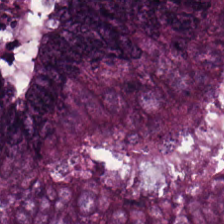H&E — adenocarcinoma.
